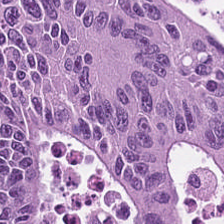H&E-stained tissue section.
The tissue here is colorectal adenocarcinoma.
